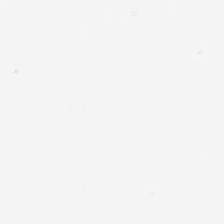Q: What is shown in this field?
A: It is background (no tissue).
